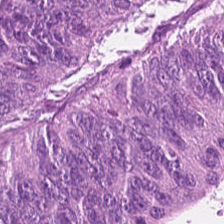H&E. Histology → tumor epithelium.
